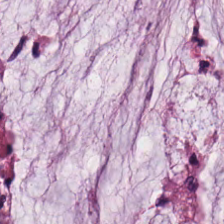Formalin-fixed paraffin-embedded section · H&E stain.
This patch shows extracellular mucin.
